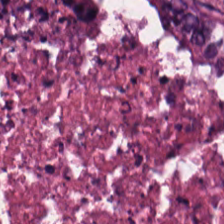FFPE. 0.5 µm/px. H&E stain.
Q: What tissue type is shown here?
A: The field shows necrotic debris.
